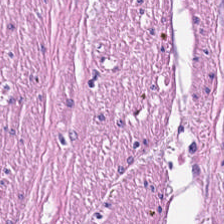Hematoxylin-and-eosin stained section. WSI patch. Predominantly muscularis.
